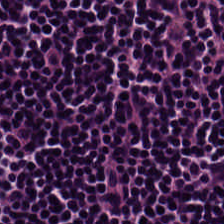H&E; formalin-fixed paraffin-embedded section; 20× equivalent magnification.
Showing lymphoid infiltrate.
